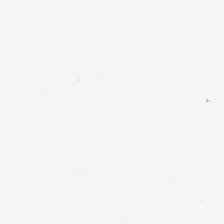H&E stain.
Empty field — background.
